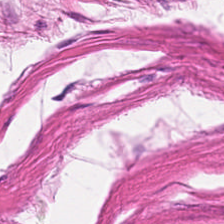H&E-stained tissue section; 224×224 px tile. Smooth muscle.
